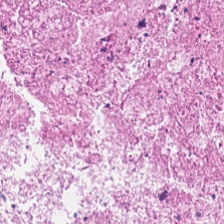H&E-stained tissue section — Q: Identify the tissue.
A: It is necrotic debris.
